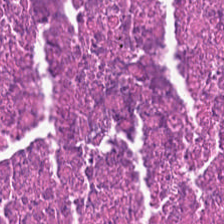The tissue here is debris.
